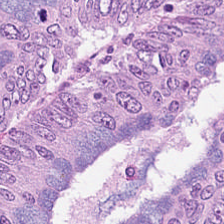Hematoxylin and eosin — The predominant tissue is malignant epithelium.
